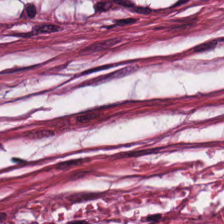H&E stain. 0.5 µm/px. Tissue class: tumor-associated stroma.
